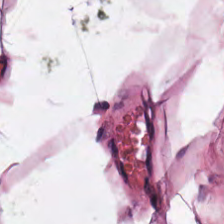WSI patch · hematoxylin-and-eosin stained section · formalin-fixed paraffin-embedded section. Predominant tissue — adipose tissue.
